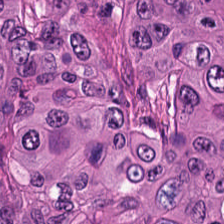0.5 µm per pixel; hematoxylin and eosin; FFPE tissue section.
Q: Classify this patch.
A: This is colorectal adenocarcinoma epithelium.
